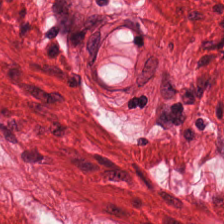H&E — smooth muscle.
